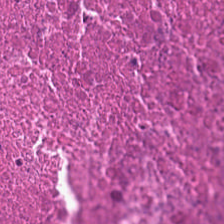0.5 microns per pixel · hematoxylin-and-eosin stained section — The predominant tissue is cellular debris.
